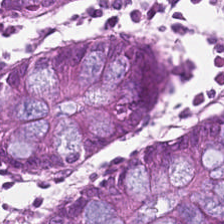H&E. The predominant tissue is non-neoplastic colon mucosa.
